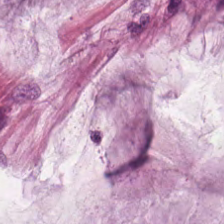0.5 µm/px. H&E stain. 224×224 px tile. Q: What tissue is shown?
A: The field shows extracellular mucin.
